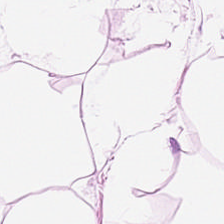Hematoxylin-and-eosin stained section — Q: Classify this patch.
A: Fat tissue.
